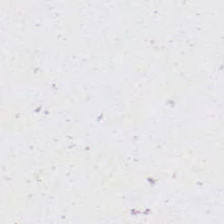H&E · WSI patch — No tissue present; background only.
